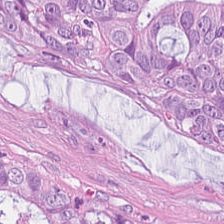Classification: colorectal adenocarcinoma epithelium.
